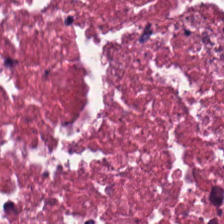Stain: H&E.
Tissue class: necrotic debris.
